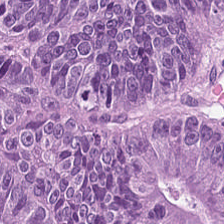224×224 px patch. Hematoxylin-and-eosin stained section. The predominant tissue is malignant epithelium.
